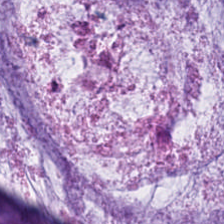H&E. 224×224 pixel tile.
{"tissue_type": "mucus"}
